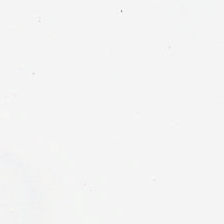H&E.
Background — no tissue in this field.
